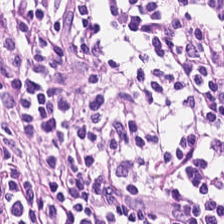Whole-slide-image patch. Hematoxylin and eosin.
This field is lymphoid infiltrate.
